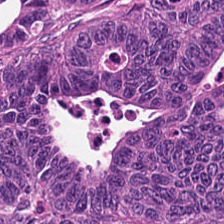Hematoxylin-and-eosin stained section.
Q: What type of tissue is this?
A: The field shows tumor epithelium.
